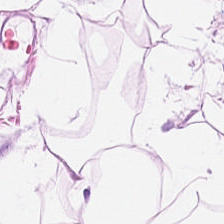{"tissue_type": "adipose"}
